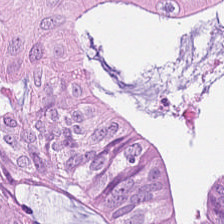H&E stain — Impression → tumor epithelium.
